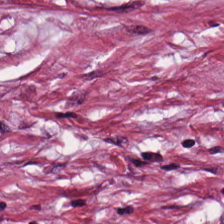H&E. The predominant tissue is tumor-associated stroma.
